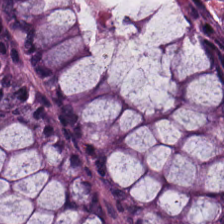H&E-stained tissue section; FFPE tissue section.
{"tissue_type": "benign colonic mucosa"}
